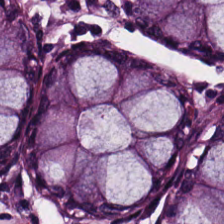Stain: hematoxylin-and-eosin stained section.
Preparation: FFPE tissue section.
Predominant tissue: normal colonic mucosa.
